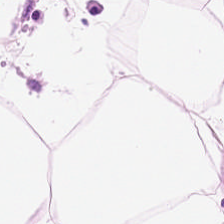Stain: H&E-stained tissue section.
Classification: adipose tissue.
